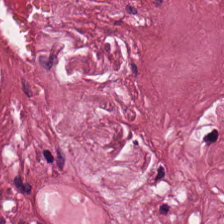H&E.
This field is cancer-associated stroma.
